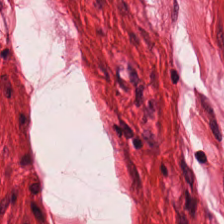H&E · formalin-fixed paraffin-embedded section — {"tissue_type": "muscularis"}
